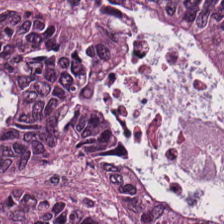Stain: hematoxylin-and-eosin stained section.
Resolution: 0.5 µm per pixel.
Preparation: FFPE tissue section.
Predominant tissue: colorectal adenocarcinoma.
